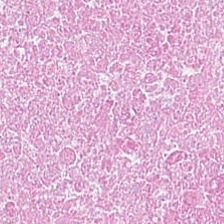Tissue type = debris.
